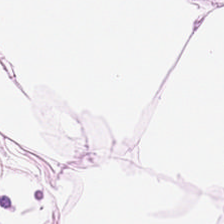Showing fat tissue.
